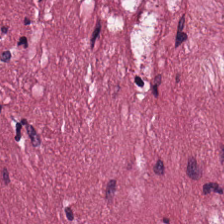Whole-slide-image patch · hematoxylin and eosin. Tumor-associated stroma.
